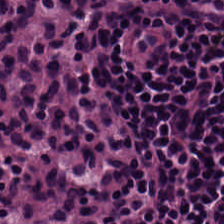H&E-stained tissue section.
This patch shows lymphocytic infiltrate.
